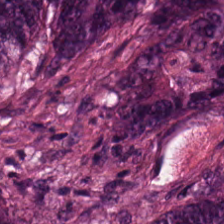Tissue type — malignant epithelium.
